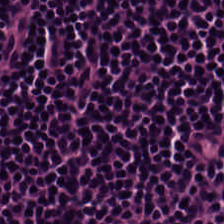Brightfield microscopy; H&E; 0.5 µm per pixel. This patch shows lymphocytic infiltrate.
